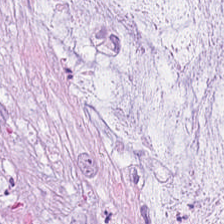H&E-stained tissue section · formalin-fixed paraffin-embedded section · 224×224 px patch — Mucin.
